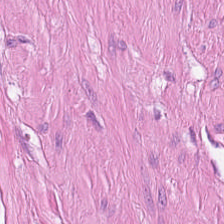Q: What is shown here?
A: The field shows muscularis.
